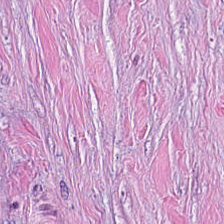H&E stain. The tissue class is desmoplastic stroma.
